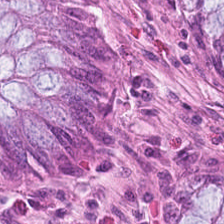{"tissue_type": "benign colonic mucosa"}
